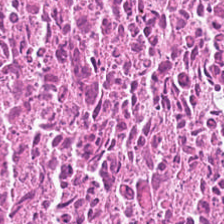H&E stain. Showing necrotic debris.
